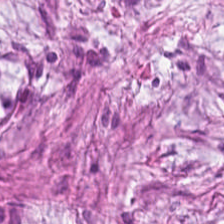0.5 microns per pixel · WSI patch · H&E stain.
Desmoplastic stroma.
